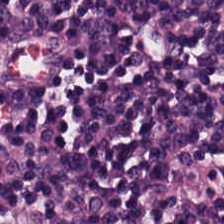Tissue class = lymphocyte aggregate.
